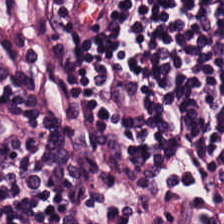H&E. Lymphocyte aggregate.
